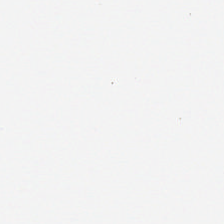Hematoxylin and eosin · FFPE · 0.5 microns per pixel. Empty field — no tissue.
